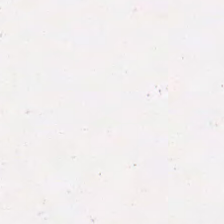Stain: H&E stain.
Tissue class: necrotic debris.
